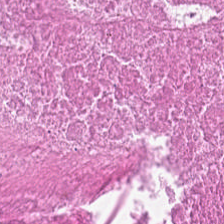Predominant tissue = cellular debris.
